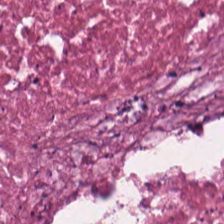H&E-stained tissue section. Finding — debris.
